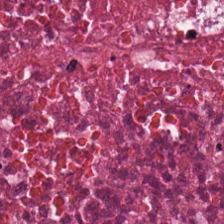Hematoxylin and eosin. Brightfield.
This field is debris.
